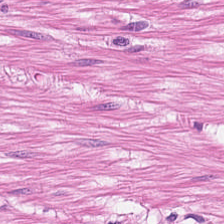Tissue class = smooth-muscle tissue.
